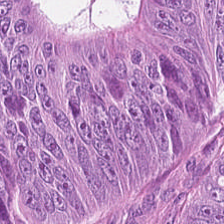This patch shows colorectal adenocarcinoma.
